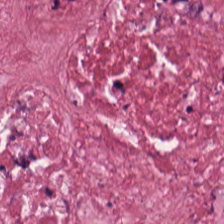H&E stain — Q: Identify the tissue.
A: Desmoplastic stroma.
